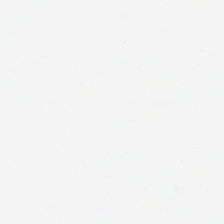Stain: H&E-stained tissue section.
Resolution: 20× equivalent magnification.
Preparation: formalin-fixed paraffin-embedded section.
Content: background.
